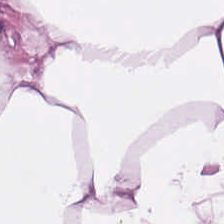224×224 px patch; H&E-stained tissue section; brightfield — The tissue type is fat tissue.
